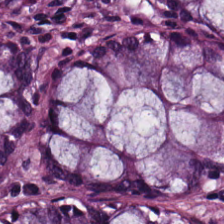H&E stain · 20× equivalent magnification. Tissue class: non-neoplastic colon mucosa.
